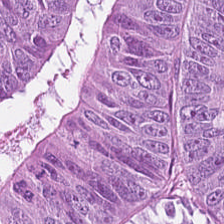Showing tumor epithelium.
